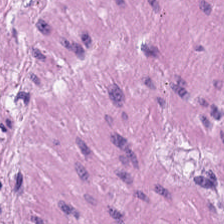Hematoxylin-and-eosin stained section — Predominantly smooth muscle.
